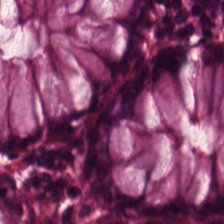20× equivalent magnification · hematoxylin and eosin. Predominant tissue — benign colonic mucosa.
